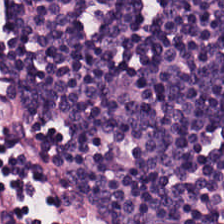Stain: H&E.
Tissue: lymphocyte aggregate.
